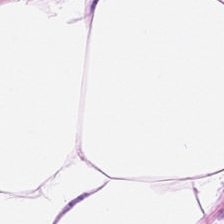The predominant tissue is adipocytes.
